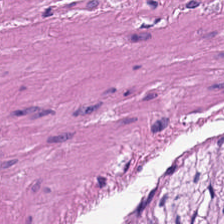Q: What tissue is shown?
A: It is muscularis.
